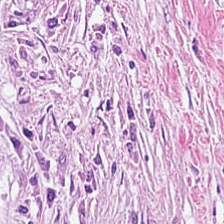Hematoxylin-and-eosin stained section — This field is tumor-associated stroma.
